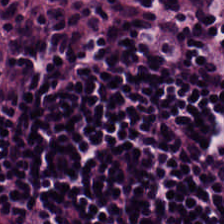Q: What tissue type is shown here?
A: This is lymphocyte aggregate.
